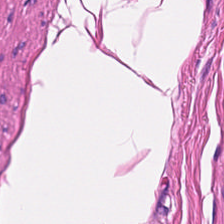H&E-stained tissue section. Brightfield microscopy — This patch shows smooth-muscle tissue.
